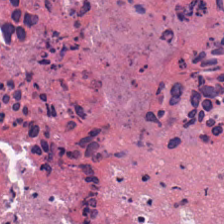The tissue here is debris.
